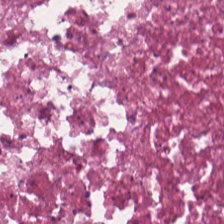H&E — debris.
